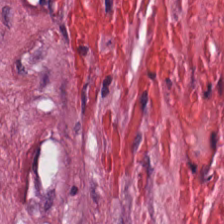H&E.
The tissue here is desmoplastic stroma.
